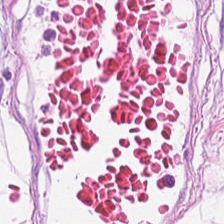Hematoxylin-and-eosin stained section.
Tissue class = adipose.
